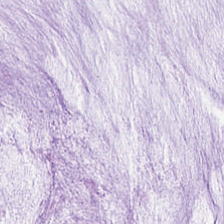Predominantly mucus.
